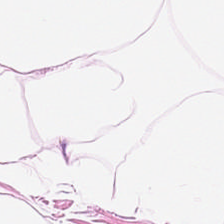Formalin-fixed paraffin-embedded section · H&E. Tissue class: adipose tissue.
